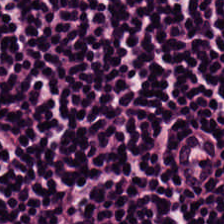H&E — This field is lymphoid infiltrate.
